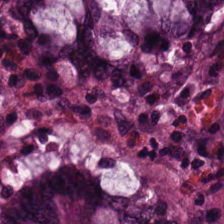H&E stain · brightfield · FFPE tissue section.
Benign colonic mucosa.
